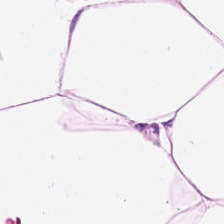H&E-stained tissue section · 224×224 px patch — Histology → adipose tissue.
